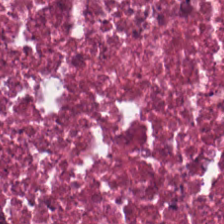The tissue is necrotic debris.
